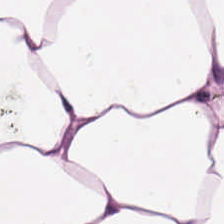Predominantly adipose.
